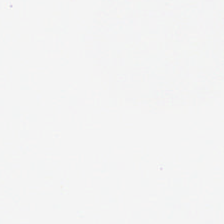H&E-stained tissue section — Empty field — background (no tissue).
